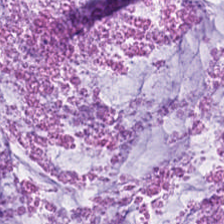Classification — mucin.
